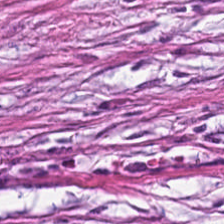Hematoxylin and eosin. Classification: tumor-associated stroma.
